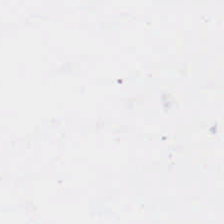Content: no tissue.
